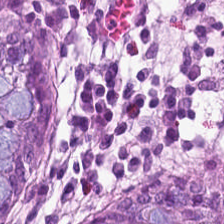224×224 pixel tile · H&E-stained tissue section — The predominant tissue is normal colonic mucosa.
